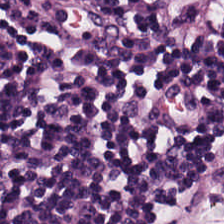224×224 px patch; H&E; 20× equivalent magnification. Impression → lymphoid infiltrate.
